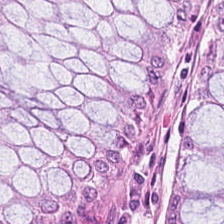Histology → non-neoplastic colon mucosa.
